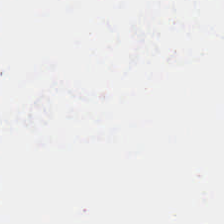FFPE · H&E · 224×224 px patch.
Classification: background.
